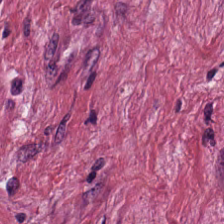224×224 px patch. H&E stain. The predominant tissue is tumor stroma.
